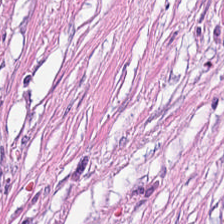Stain: hematoxylin-and-eosin stained section.
Acquisition: brightfield.
Preparation: formalin-fixed paraffin-embedded section.
Predominant tissue: tumor-associated stroma.
